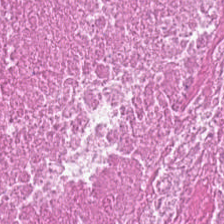This patch shows cellular debris.
